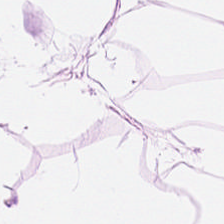Stain: H&E-stained tissue section.
Predominant tissue: adipose.
